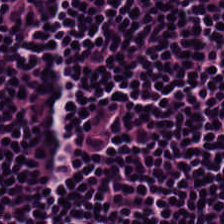224×224 px patch. H&E stain. 0.5 µm/px. The tissue class is lymphocytic infiltrate.
